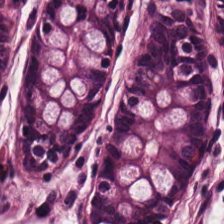H&E-stained tissue section — This field is normal colon mucosa.
